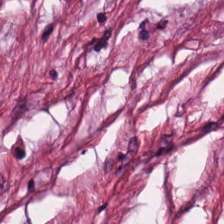H&E — cancer-associated stroma.
